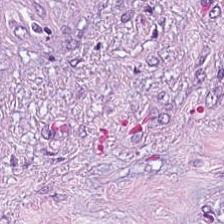WSI patch · H&E stain — Cancer-associated stroma.
